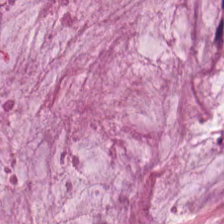Stain: H&E-stained tissue section.
Classification: extracellular mucin.
